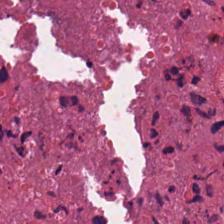Hematoxylin and eosin. Cellular debris.
